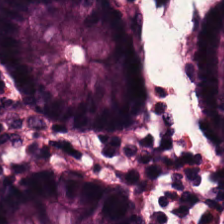Stain: H&E stain.
Predominant tissue: benign colonic mucosa.
